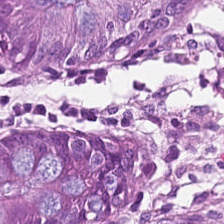H&E; 0.5 µm/px.
Tissue type: normal colonic mucosa.
